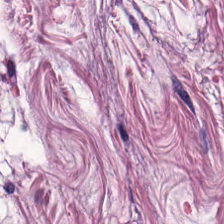Showing smooth-muscle tissue.
